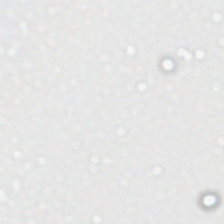Q: What is shown in this field?
A: Background.
